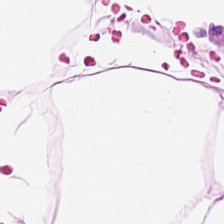Stain: H&E stain.
Tissue type: adipocytes.
